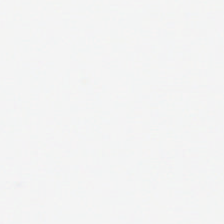FFPE · 224×224 px tile · H&E — Background (no tissue).
